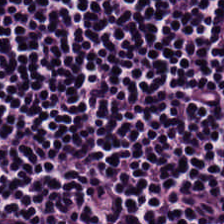Hematoxylin and eosin — Q: What is shown here?
A: It is lymphocytes.
